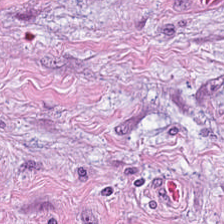Hematoxylin and eosin — Classification — desmoplastic stroma.
